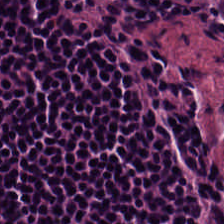Formalin-fixed paraffin-embedded section · H&E.
Classification: lymphocytes.
